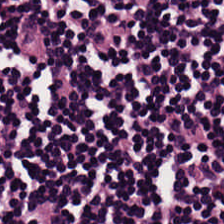H&E stain. Tissue type — lymphocytic infiltrate.
